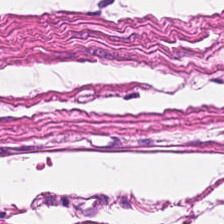Brightfield microscopy; hematoxylin-and-eosin stained section; 0.5 µm/px.
Tissue class = muscularis.
